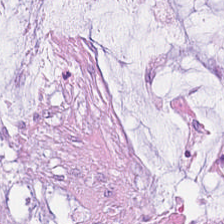Hematoxylin and eosin — Q: What does this patch show?
A: The field shows mucin.
